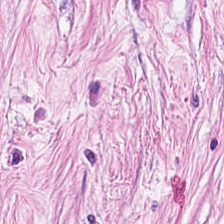H&E-stained tissue section. 20× equivalent magnification. Formalin-fixed paraffin-embedded section. Histology — tumor stroma.
